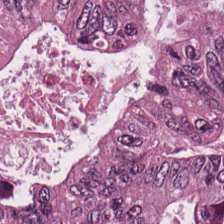H&E stain. Finding — colorectal adenocarcinoma epithelium.
